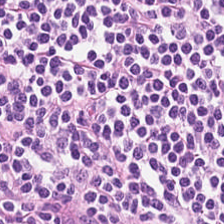20× equivalent magnification; H&E-stained tissue section. Q: What tissue type is shown here?
A: The field shows lymphocytes.
